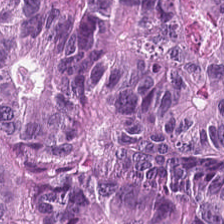H&E-stained tissue section.
This field is colorectal adenocarcinoma epithelium.
